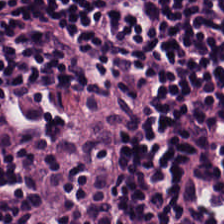224×224 px patch · H&E-stained tissue section.
Q: Classify this patch.
A: It is lymphocyte aggregate.
